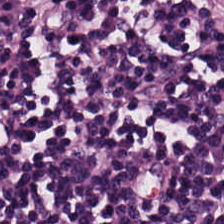Hematoxylin-and-eosin stained section. Predominantly lymphocyte aggregate.
